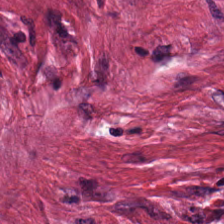H&E.
This patch shows tumor-associated stroma.
